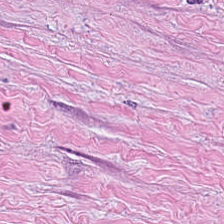Brightfield microscopy; H&E.
Q: What is the predominant tissue type?
A: It is tumor stroma.
